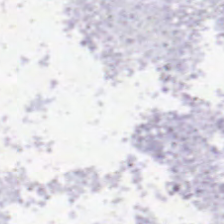This field is background (no tissue).
